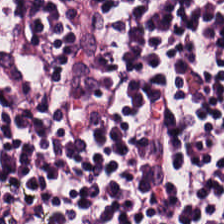Stain: hematoxylin and eosin.
Tile size: 224×224 pixel tile.
Acquisition: WSI patch.
Classification: lymphoid infiltrate.
